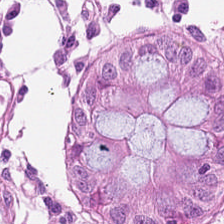H&E-stained tissue section. Tissue type: non-neoplastic colon mucosa.
